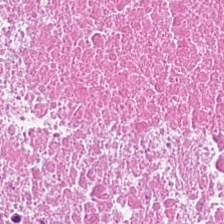This patch shows debris.
